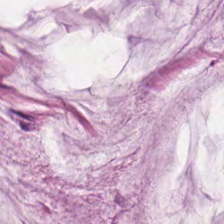Stain: H&E stain.
Predominant tissue: mucin.
